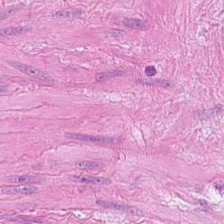Q: What type of tissue is this?
A: This is smooth muscle.
